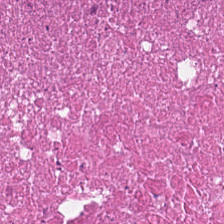FFPE tissue section; H&E-stained tissue section. Tissue class — debris.
